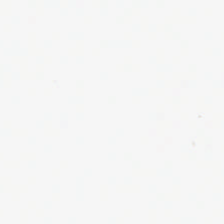224×224 px patch. H&E. FFPE tissue section.
Q: What is shown in this field?
A: The field shows background (no tissue).
